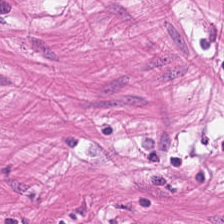H&E. Histology → smooth muscle.
